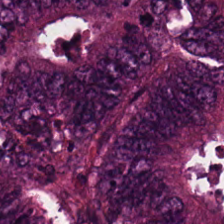224×224 px patch. 0.5 µm per pixel. Hematoxylin-and-eosin stained section. Q: What type of tissue is this?
A: It is tumor epithelium.
